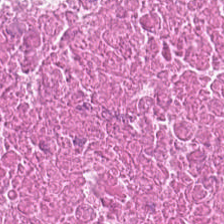WSI patch. 20× equivalent magnification. H&E — This patch shows debris.
